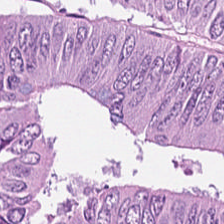Stain: hematoxylin-and-eosin stained section.
Resolution: 20× equivalent magnification.
Classification: colorectal adenocarcinoma.
